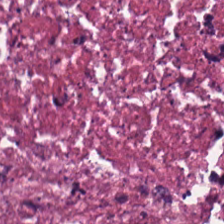Hematoxylin and eosin — {"tissue_type": "debris"}
